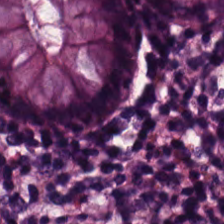Q: What is shown here?
A: It is benign colonic mucosa.
